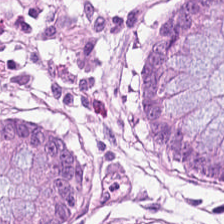224×224 px patch; H&E. Predominantly non-neoplastic colon mucosa.
